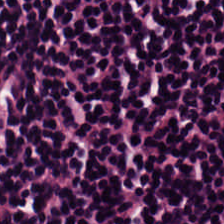Tissue = lymphocytes.
